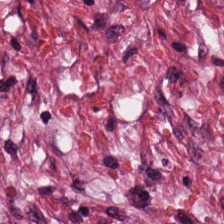H&E stain.
Tumor-associated stroma.
